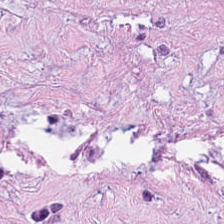Hematoxylin and eosin.
Finding — cancer-associated stroma.
